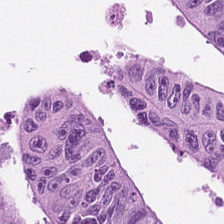H&E-stained tissue section · 0.5 µm per pixel. The predominant tissue is tumor epithelium.
